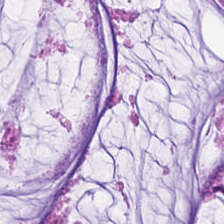Stain: hematoxylin-and-eosin stained section.
Predominant tissue: extracellular mucin.
